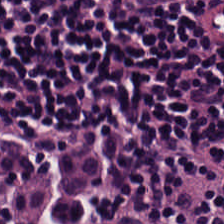H&E stain — Q: Identify the tissue.
A: Lymphoid infiltrate.
